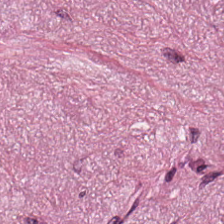Hematoxylin-and-eosin stained section. 224×224 pixel tile. Tissue = tumor-associated stroma.
